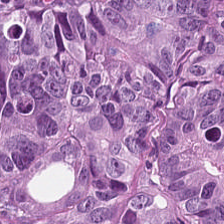Stain: H&E.
Predominant tissue: adenocarcinoma.
